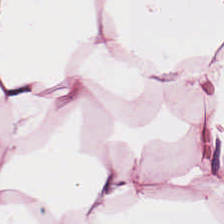H&E · 224×224 px tile. {"tissue_type": "adipocytes"}
